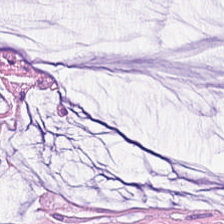The classification is mucin.
